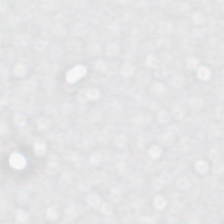Hematoxylin and eosin — Empty field — empty background.
